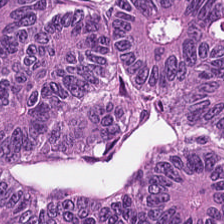This field is adenocarcinoma.
